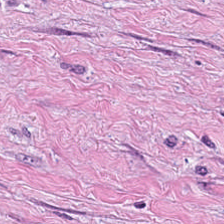Predominant tissue — tumor-associated stroma.
